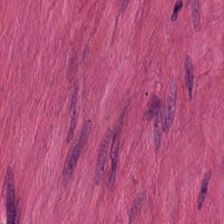H&E. Predominantly smooth muscle.
